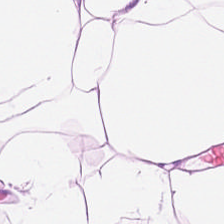Tissue — adipose tissue.
